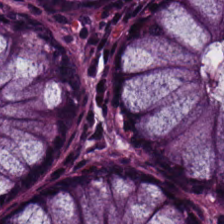The predominant tissue is normal colon mucosa.
